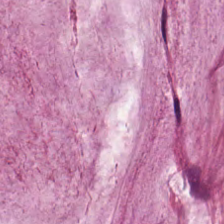Q: What tissue type is shown here?
A: It is mucus.
